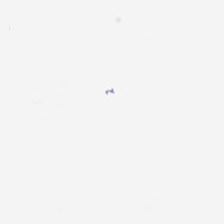Hematoxylin and eosin.
Q: Classify this patch.
A: This is background (no tissue).
